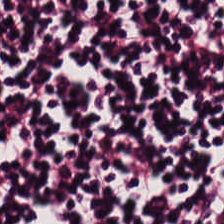{"tissue_type": "lymphocyte aggregate"}
